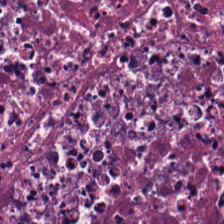Stain: hematoxylin-and-eosin stained section.
Tissue type: debris.
